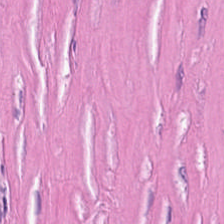H&E — Tissue class = tumor stroma.
